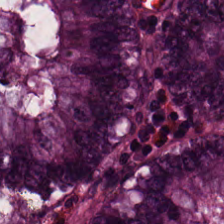Stain: H&E.
Preparation: FFPE.
Tissue class: normal colonic mucosa.
